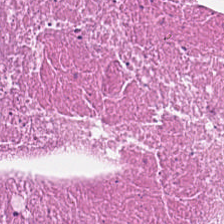H&E-stained tissue section — Q: What is shown in this field?
A: The field shows cellular debris.
